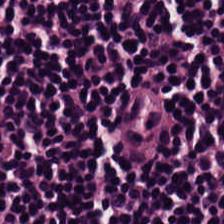Stain: hematoxylin-and-eosin stained section.
Preparation: FFPE tissue section.
Predominant tissue: lymphocytes.
